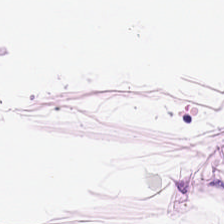224×224 pixel tile. H&E.
Showing adipose.
